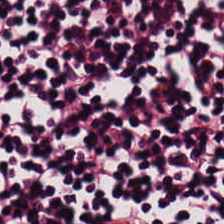Hematoxylin and eosin. Q: What is shown in this field?
A: Lymphocyte aggregate.
